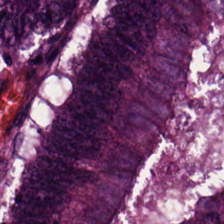Hematoxylin-and-eosin stained section — Tissue: colorectal adenocarcinoma.
